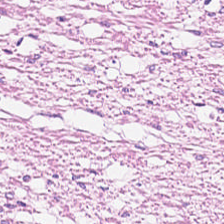H&E-stained tissue section. Brightfield microscopy. Q: What is the predominant tissue type?
A: Muscularis.
